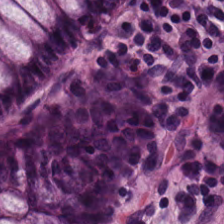Stain: hematoxylin and eosin.
Predominant tissue: normal colonic mucosa.
